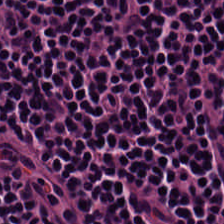H&E-stained tissue section · 0.5 µm/px — Q: What is shown in this field?
A: This is lymphocyte aggregate.
